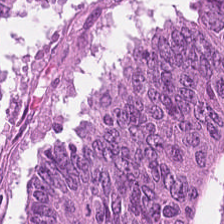H&E stain.
Tissue = colorectal adenocarcinoma.
